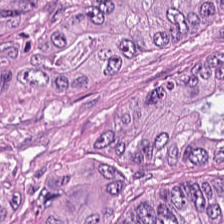Classification = malignant epithelium.
